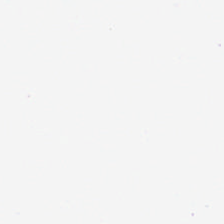The field content is background (no tissue).
